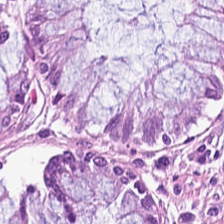Hematoxylin and eosin; 224×224 pixel tile.
Tissue class — benign colonic mucosa.
